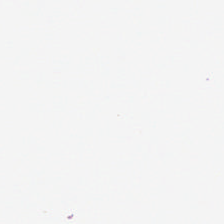Brightfield · FFPE · hematoxylin-and-eosin stained section. No tissue.
